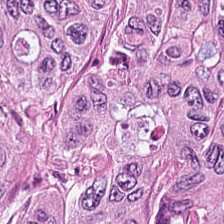Hematoxylin-and-eosin section: colorectal adenocarcinoma epithelium.
